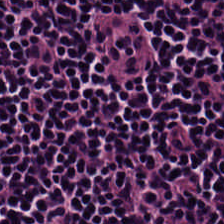FFPE tissue section; hematoxylin and eosin; WSI patch. Q: What is shown here?
A: It is lymphocyte aggregate.
